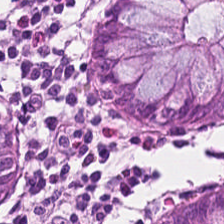H&E stain.
Tissue: non-neoplastic colon mucosa.
